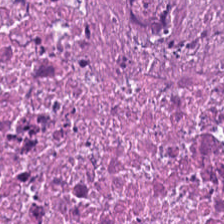H&E. 224×224 px tile. Whole-slide-image patch — Classification = necrotic debris.
